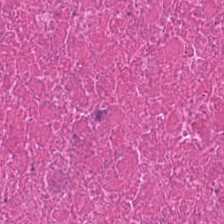Classification — necrotic debris.
